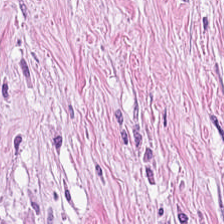H&E — Q: What is shown here?
A: This is desmoplastic stroma.
